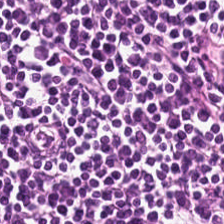Q: What is shown here?
A: Lymphocyte aggregate.
